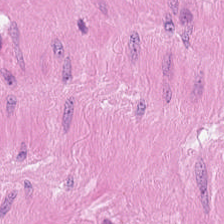0.5 µm per pixel · whole-slide-image patch · hematoxylin and eosin. The predominant tissue is muscularis.
